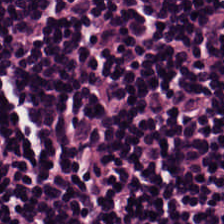WSI patch · H&E · 0.5 microns per pixel — Q: Classify this patch.
A: Lymphocyte aggregate.
